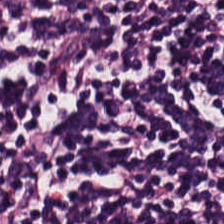H&E-stained tissue section.
Q: What tissue is shown?
A: Lymphocytic infiltrate.
